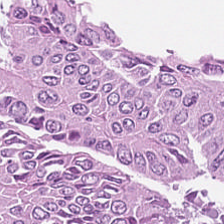Hematoxylin and eosin · 0.5 µm/px — Q: Identify the tissue.
A: The field shows colorectal adenocarcinoma.
